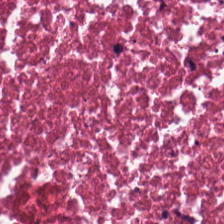0.5 microns per pixel · H&E stain.
Tissue: necrotic debris.
